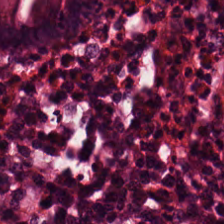0.5 µm/px; hematoxylin and eosin — The tissue here is benign colonic mucosa.
